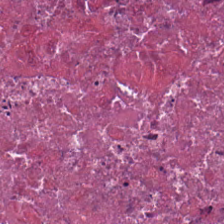H&E-stained tissue section; 0.5 microns per pixel. Tissue type: debris.
